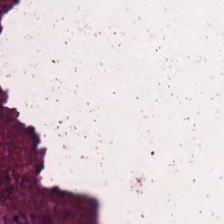Tissue type — cellular debris.
